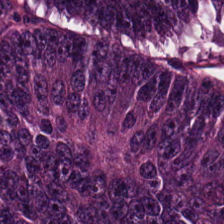Tissue type = adenocarcinoma.
